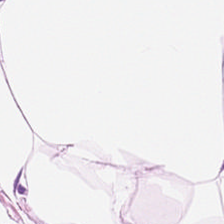Hematoxylin and eosin; 0.5 µm per pixel.
Tissue type = fat tissue.
